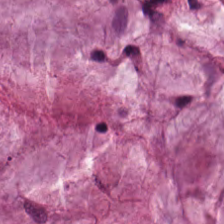Hematoxylin-and-eosin stained section.
Q: Classify this patch.
A: This is mucus.
